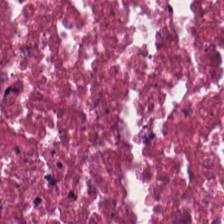H&E stain; FFPE.
Finding → debris.
